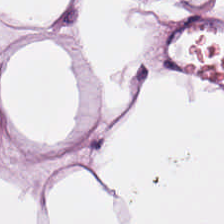Stain: hematoxylin and eosin.
Preparation: formalin-fixed paraffin-embedded section.
Acquisition: brightfield.
Tissue: adipose.
